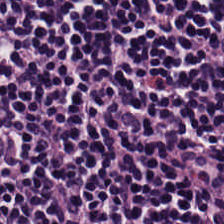Hematoxylin-and-eosin stained section.
Histology — lymphocyte aggregate.
